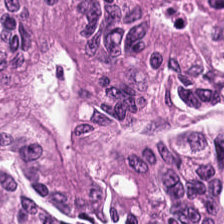H&E-stained tissue section. Finding → colorectal adenocarcinoma epithelium.
